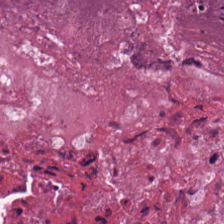H&E-stained tissue section.
{"tissue_type": "cellular debris"}
